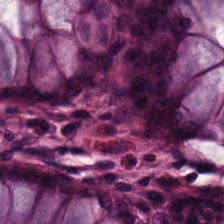Hematoxylin-and-eosin stained section.
This field is non-neoplastic colon mucosa.
